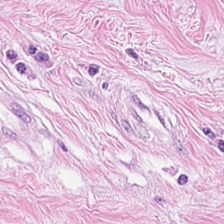Hematoxylin-and-eosin stained section — The tissue type is tumor-associated stroma.
